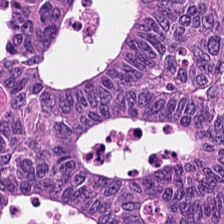224×224 px patch; hematoxylin and eosin; FFPE tissue section — Finding → colorectal adenocarcinoma.
